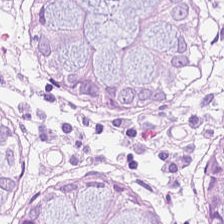Normal colon mucosa.
